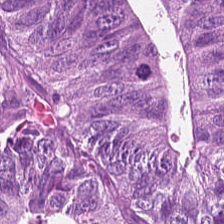Formalin-fixed paraffin-embedded section · H&E stain.
This field is colorectal adenocarcinoma.
